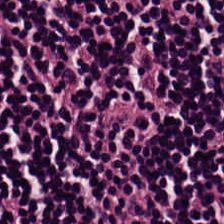Hematoxylin and eosin; 224×224 pixel tile. The classification is lymphoid infiltrate.
